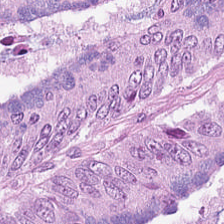H&E-stained section; the field shows malignant epithelium.
